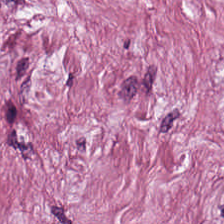Hematoxylin and eosin.
The predominant tissue is desmoplastic stroma.
